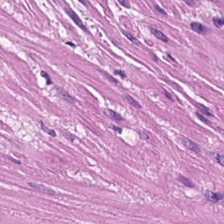H&E; FFPE; brightfield.
This patch shows muscularis.
